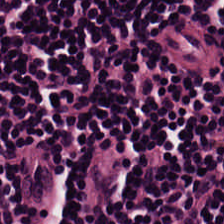Hematoxylin-and-eosin stained section · formalin-fixed paraffin-embedded section · whole-slide-image patch. This field is lymphocytic infiltrate.
